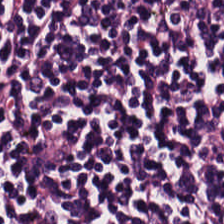224×224 px tile; hematoxylin and eosin.
The predominant tissue is lymphocyte aggregate.
